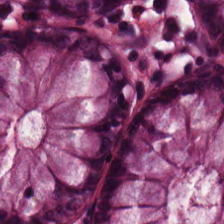H&E stain. 0.5 µm/px.
Predominant tissue — non-neoplastic colon mucosa.
